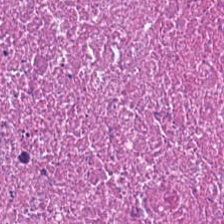20× equivalent magnification; hematoxylin and eosin — Q: What is the predominant tissue type?
A: This is debris.
